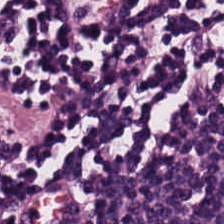H&E stain — {"tissue_type": "lymphocytic infiltrate"}
